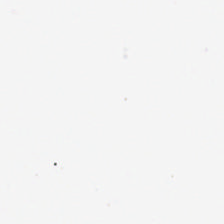0.5 µm per pixel; FFPE tissue section; hematoxylin and eosin. Impression — background (no tissue).
